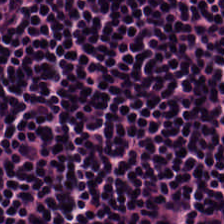H&E stain — Lymphocytes.
